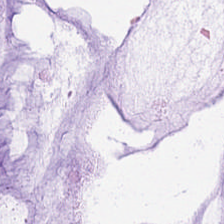H&E. Tissue class — mucus.
